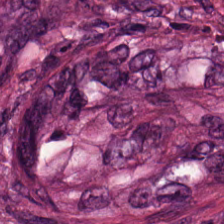Stain: H&E-stained tissue section.
Predominant tissue: tumor stroma.
